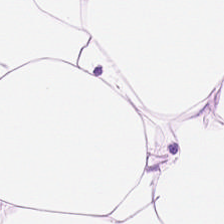Whole-slide-image patch. H&E stain.
Classification: fat tissue.
